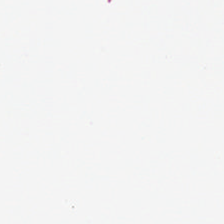No tissue present; background only.
